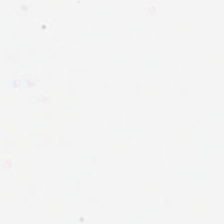Impression → no tissue.
